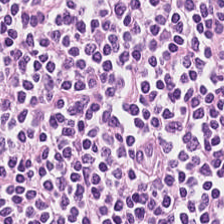Hematoxylin and eosin — Lymphoid infiltrate.
